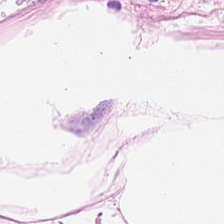0.5 microns per pixel · hematoxylin-and-eosin stained section.
This patch shows adipose tissue.
